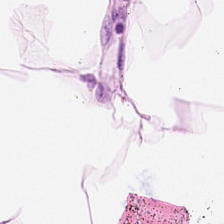H&E stain — Histology → adipose.
